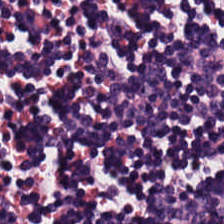Hematoxylin and eosin — The predominant tissue is lymphoid infiltrate.
